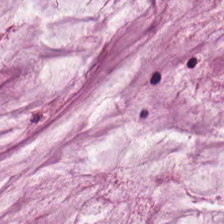Hematoxylin and eosin · 224×224 px patch · WSI patch. Tissue — extracellular mucin.
